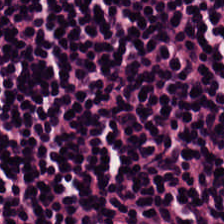Hematoxylin-and-eosin stained section — Tissue — lymphocytes.
